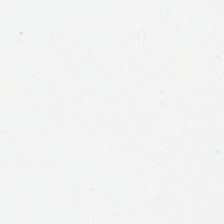Stain: H&E-stained tissue section.
Preparation: FFPE.
Classification: background.
